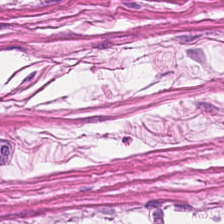H&E-stained tissue section — The tissue type is smooth-muscle tissue.
